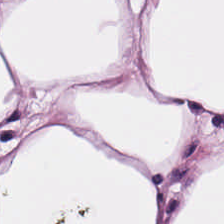The tissue here is adipose.
